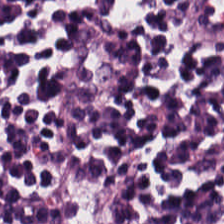H&E stain · FFPE tissue section. The predominant tissue is lymphocyte aggregate.
